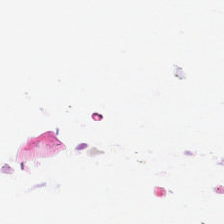Whole-slide-image patch; H&E-stained tissue section — Field content — no tissue.
